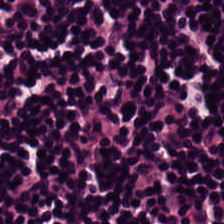Brightfield microscopy. H&E-stained tissue section. Tissue type: lymphocyte aggregate.
